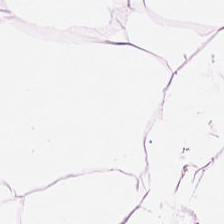H&E stain; FFPE tissue section — Predominant tissue — fat tissue.
